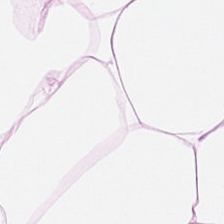H&E-stained tissue section.
The predominant tissue is adipose tissue.
